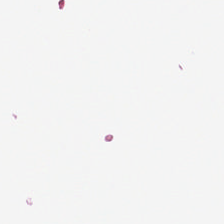The content is empty background.
